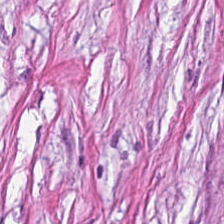{"tissue_type": "cancer-associated stroma"}
